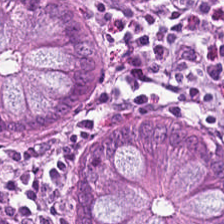H&E-stained tissue section.
The predominant tissue is benign colonic mucosa.
